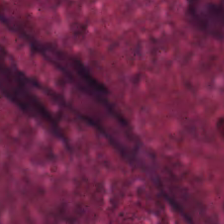Hematoxylin and eosin. Q: What is the predominant tissue type?
A: Debris.
